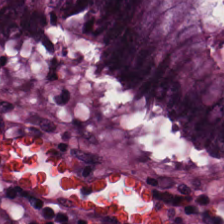H&E. Showing benign colonic mucosa.
